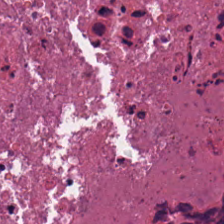Stain: hematoxylin and eosin.
Classification: debris.
